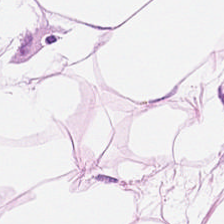H&E-stained section; the field shows adipocytes.
